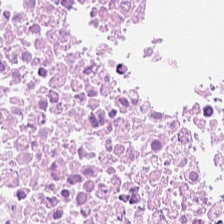H&E patch showing necrotic debris.
